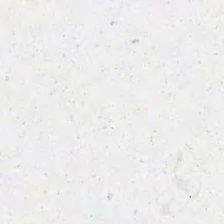H&E-stained tissue section — Field content = empty background.
